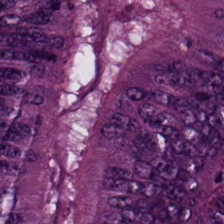Hematoxylin and eosin.
Tissue class — colorectal adenocarcinoma.
